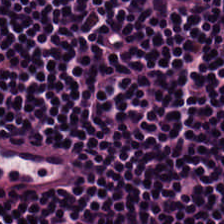Tissue = lymphocyte aggregate.
